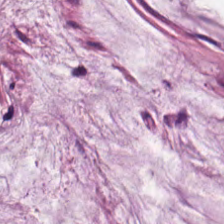20× equivalent magnification; hematoxylin and eosin — Impression → mucus.
